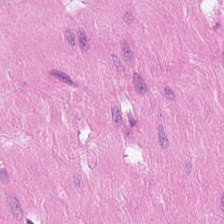H&E-stained tissue section — {"tissue_type": "smooth muscle"}
